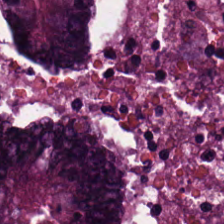H&E — colorectal adenocarcinoma.
